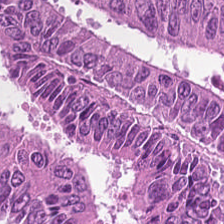Impression — colorectal adenocarcinoma.
